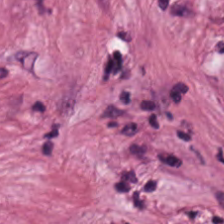{"tissue_type": "desmoplastic stroma"}
